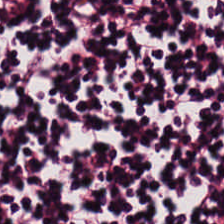H&E-stained tissue section. Finding → lymphocytes.
